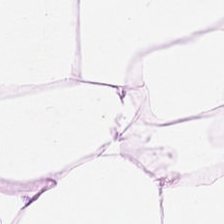Hematoxylin-and-eosin stained section.
Q: What tissue type is shown here?
A: It is adipose.
